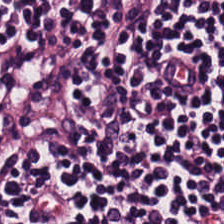0.5 microns per pixel · H&E · FFPE tissue section — Showing lymphocytes.
